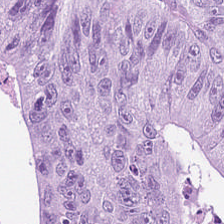Stain: H&E stain.
Classification: malignant epithelium.
